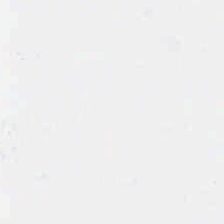224×224 px tile; H&E-stained tissue section; 0.5 µm/px. Field content: background.
